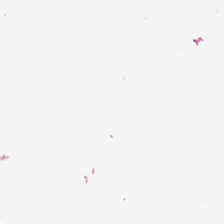This field is background (no tissue).
